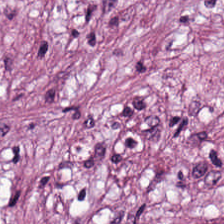FFPE tissue section · 20× equivalent magnification · hematoxylin-and-eosin stained section — Finding — cancer-associated stroma.
